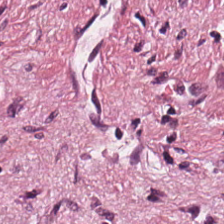Hematoxylin and eosin. This field is tumor-associated stroma.
